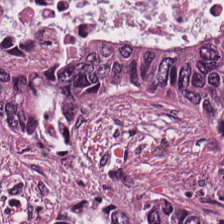Hematoxylin and eosin — Predominantly colorectal adenocarcinoma epithelium.
